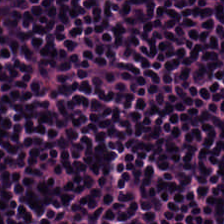H&E stain. Histology → lymphocytic infiltrate.
